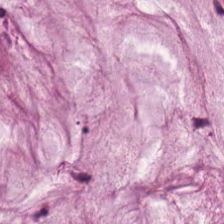Hematoxylin and eosin · 224×224 pixel tile.
This field is mucus.
